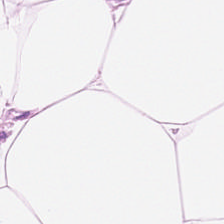Whole-slide-image patch; H&E; 0.5 microns per pixel — The tissue is adipose tissue.
